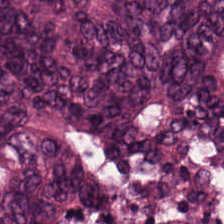Stain: H&E.
Tissue type: colorectal adenocarcinoma.
